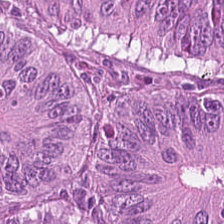Hematoxylin and eosin. Tissue type: malignant epithelium.
